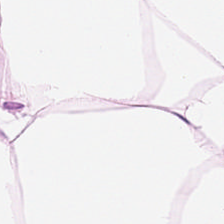H&E patch showing fat tissue.
